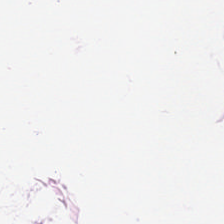The predominant tissue is adipocytes.
